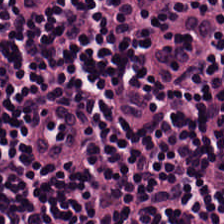WSI patch. Hematoxylin and eosin. 224×224 px patch.
Tissue class = lymphoid infiltrate.
